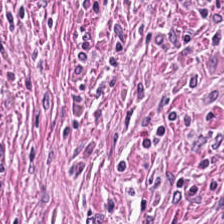H&E stain. Formalin-fixed paraffin-embedded section.
This field is cancer-associated stroma.
